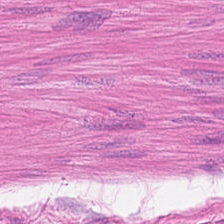Hematoxylin and eosin; 224×224 px tile; FFPE tissue section — Smooth muscle.
